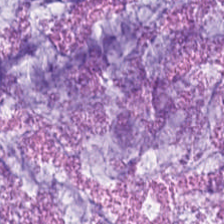Brightfield · H&E stain.
Predominant tissue = mucus.
